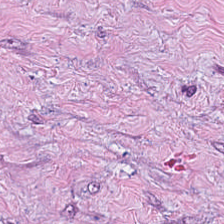H&E-stained tissue section showing tumor stroma.
